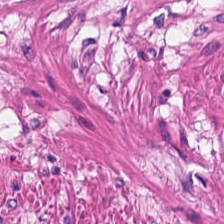Showing smooth-muscle tissue.
